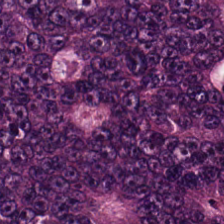Q: What tissue type is shown here?
A: The field shows colorectal adenocarcinoma epithelium.
